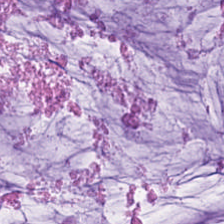Extracellular mucin.
